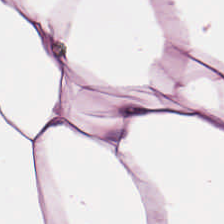Histology → adipose.
